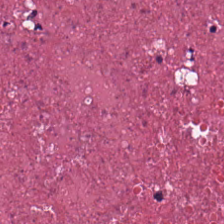Stain: H&E.
Tissue type: necrotic debris.
